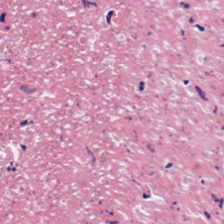H&E-stained tissue section; 0.5 µm/px. Predominantly debris.
